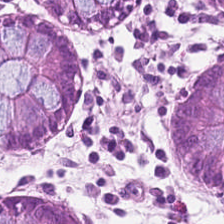Formalin-fixed paraffin-embedded section; 224×224 px patch; H&E.
This patch shows normal colon mucosa.
